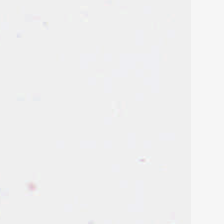H&E-stained tissue section · brightfield microscopy · FFPE tissue section — Q: What is shown here?
A: The field shows background (no tissue).
